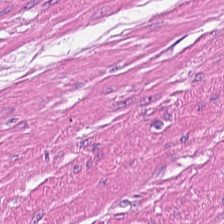This patch shows smooth-muscle tissue.
